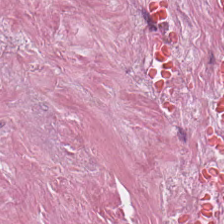224×224 px tile; hematoxylin and eosin.
Tissue class — cancer-associated stroma.
